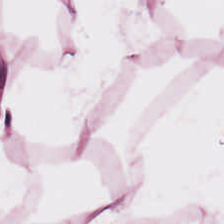Hematoxylin-and-eosin stained section · WSI patch.
Tissue: adipose.
